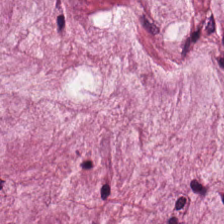Hematoxylin and eosin. Showing mucin.
